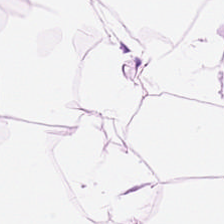H&E.
Tissue class = adipose tissue.
